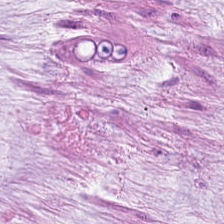224×224 px patch · hematoxylin-and-eosin stained section · FFPE tissue section — Q: Identify the tissue.
A: It is extracellular mucin.
